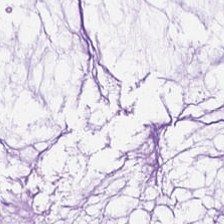H&E-stained tissue section. The predominant tissue is mucin.
